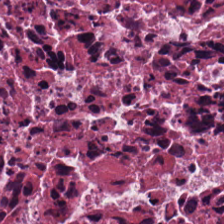224×224 px tile. Hematoxylin-and-eosin stained section — The predominant tissue is debris.
